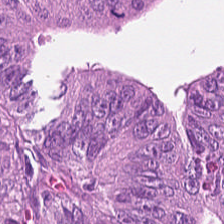Classification = adenocarcinoma.
